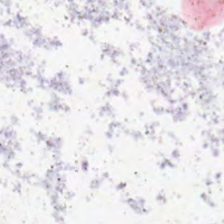H&E stain. Content = no tissue.
